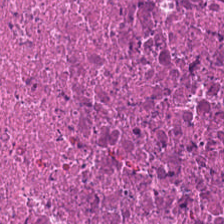H&E stain.
Predominantly debris.
